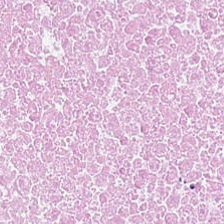H&E-stained tissue section — Q: Classify this patch.
A: The field shows necrotic debris.
